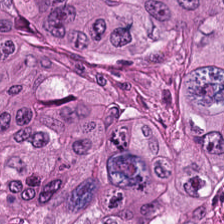Hematoxylin-and-eosin stained section.
The predominant tissue is colorectal adenocarcinoma epithelium.
